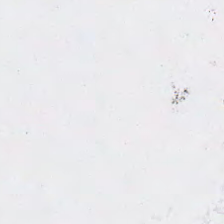H&E; 0.5 µm/px; brightfield. Q: What is shown here?
A: It is no tissue.
